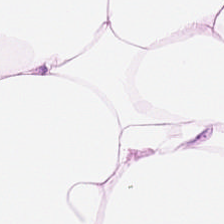Stain: hematoxylin-and-eosin stained section.
Resolution: 0.5 microns per pixel.
Tissue: fat tissue.
